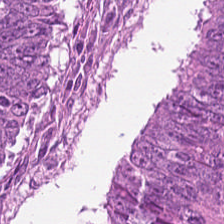Hematoxylin and eosin; brightfield microscopy; FFPE tissue section. Q: What is the predominant tissue type?
A: It is adenocarcinoma.
